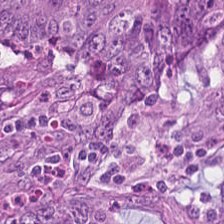Stain: H&E stain.
Resolution: 0.5 µm per pixel.
Predominant tissue: colorectal adenocarcinoma epithelium.
